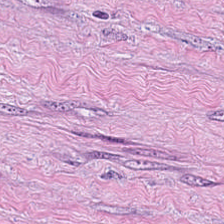H&E — Showing cancer-associated stroma.
